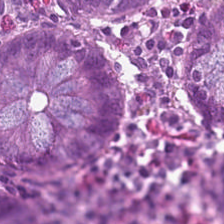Hematoxylin and eosin; formalin-fixed paraffin-embedded section — Normal colonic mucosa.
